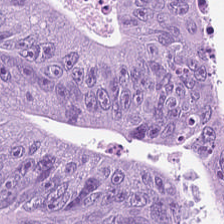0.5 µm/px. H&E-stained tissue section.
The predominant tissue is malignant epithelium.
